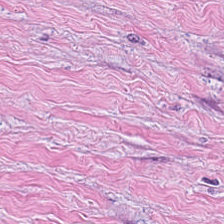Hematoxylin-and-eosin stained section — Q: Classify this patch.
A: It is tumor stroma.
